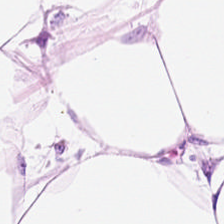FFPE · 0.5 microns per pixel · H&E.
Tissue type = adipocytes.
